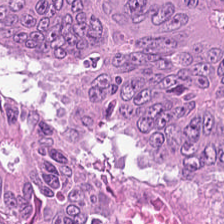Hematoxylin and eosin · WSI patch.
Tissue type = colorectal adenocarcinoma epithelium.
